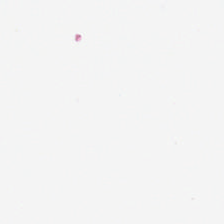H&E stain.
Field content: background.
